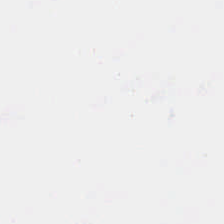224×224 px tile; FFPE; H&E — This field is background (no tissue).
